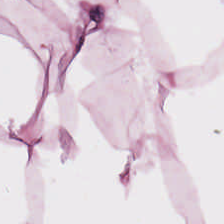H&E-stained tissue section.
This patch shows adipocytes.
